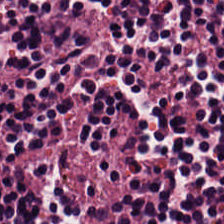Q: What is the predominant tissue type?
A: The field shows lymphocyte aggregate.
